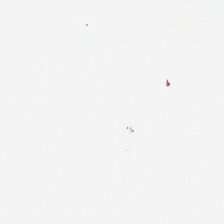Hematoxylin and eosin — Q: What does this patch show?
A: The field shows background.
